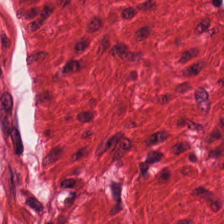Q: What does this patch show?
A: Muscularis.
